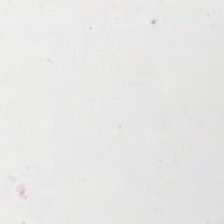Finding — no tissue.
